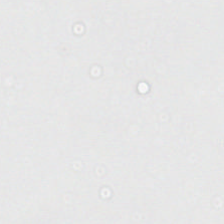H&E — Histology → no tissue.
